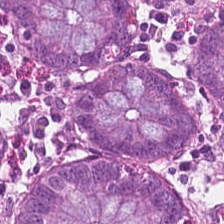H&E-stained tissue section · 20× equivalent magnification · FFPE tissue section.
Showing normal colonic mucosa.
